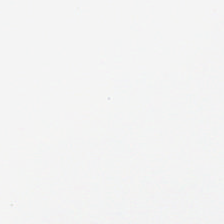{"content": "no tissue"}
